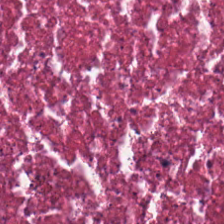H&E stain. Impression — necrotic debris.
